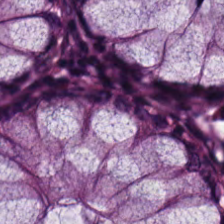Histology — normal colonic mucosa.
